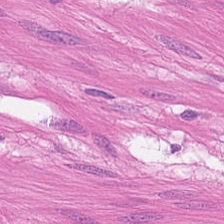224×224 pixel tile. H&E-stained tissue section. 20× equivalent magnification — Histology → smooth muscle.
